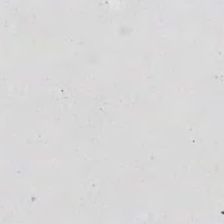This field is background (no tissue).
